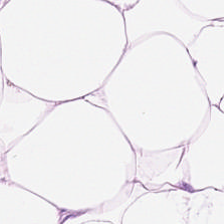Q: What is shown in this field?
A: Adipose tissue.
